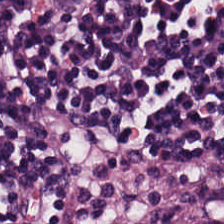Hematoxylin-and-eosin stained section. Histology → lymphocytes.
